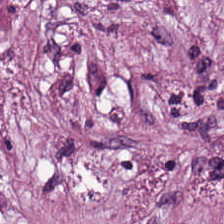H&E. 224×224 pixel tile — Finding — desmoplastic stroma.
